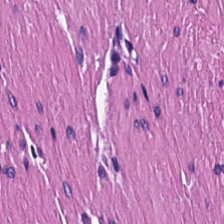Q: What tissue is shown?
A: This is smooth muscle.
